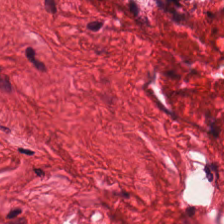H&E. The tissue class is smooth-muscle tissue.
